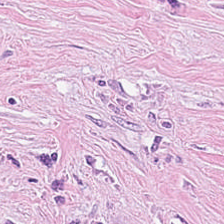Hematoxylin-and-eosin stained section. Tissue — tumor-associated stroma.
